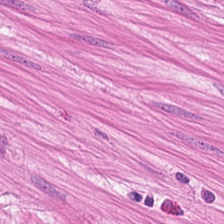0.5 microns per pixel; H&E-stained tissue section; whole-slide-image patch.
Predominant tissue: smooth-muscle tissue.
